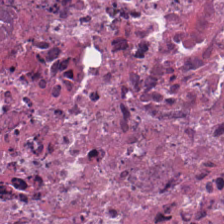H&E-stained tissue section. This field is necrotic debris.
